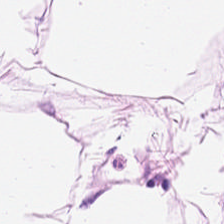Q: Classify this patch.
A: Fat tissue.
